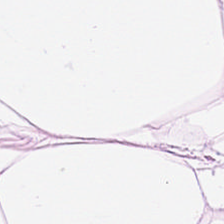Hematoxylin-and-eosin stained section; formalin-fixed paraffin-embedded section — Q: What type of tissue is this?
A: The field shows adipose.
